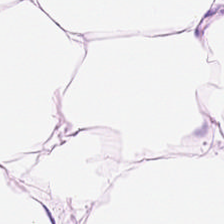Hematoxylin and eosin · WSI patch. Tissue type — adipose tissue.
